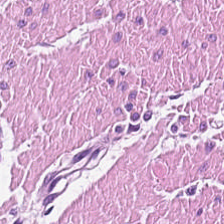Formalin-fixed paraffin-embedded section; H&E stain; brightfield microscopy. Finding — smooth-muscle tissue.
